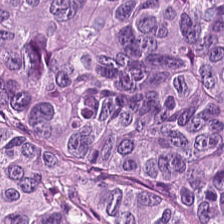224×224 px tile · H&E · FFPE.
Tissue type = malignant epithelium.
